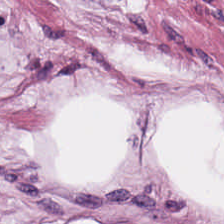Hematoxylin-and-eosin stained section.
Classification = adipose tissue.
